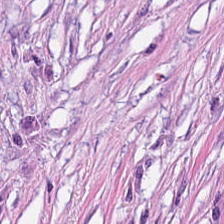H&E stain · FFPE · 224×224 px patch. Histology — desmoplastic stroma.
